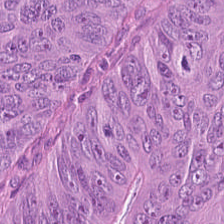0.5 µm per pixel; hematoxylin and eosin; 224×224 pixel tile. Tissue class: tumor epithelium.
